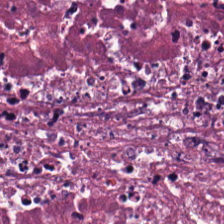H&E; 224×224 px tile.
The predominant tissue is cellular debris.
